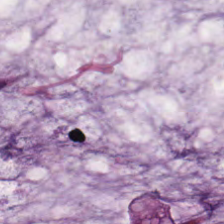Stain: hematoxylin-and-eosin stained section.
Classification: mucin.
